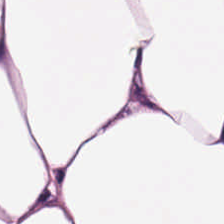H&E.
This patch shows adipose.
